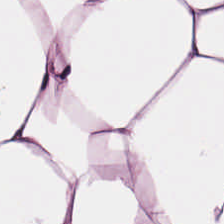H&E stain. 224×224 px tile.
This field is adipose.
